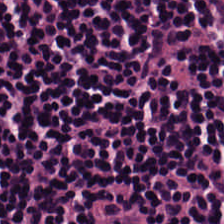Stain: hematoxylin and eosin.
Classification: lymphocytes.
